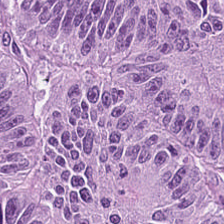Hematoxylin-and-eosin stained section. This field is tumor epithelium.
